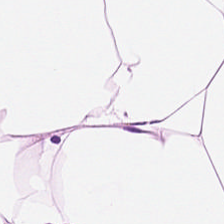Hematoxylin-and-eosin stained section. Tissue — adipose.
